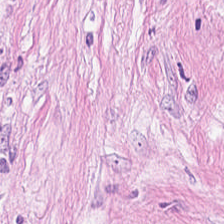Q: What tissue is shown?
A: This is tumor-associated stroma.
